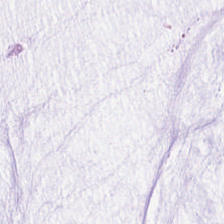Q: What is shown here?
A: Extracellular mucin.
